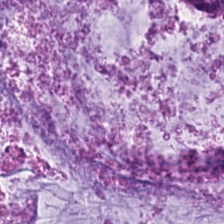H&E. Brightfield microscopy.
Classification — mucus.
